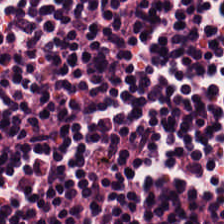{"tissue_type": "lymphocytes"}
